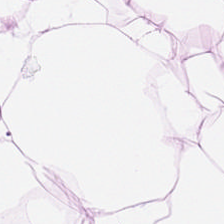WSI patch. Hematoxylin and eosin. Classification: adipose.
